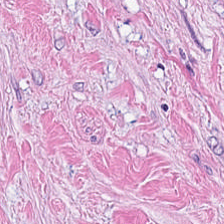Hematoxylin and eosin · WSI patch.
This patch shows tumor-associated stroma.
